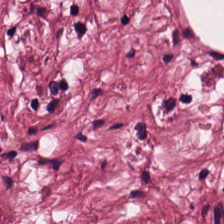Brightfield · formalin-fixed paraffin-embedded section · H&E — The predominant tissue is tumor stroma.
